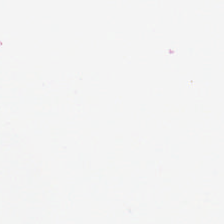Q: What is shown here?
A: Background.
